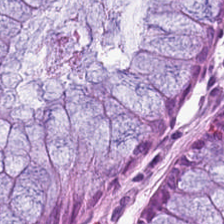Hematoxylin and eosin; 0.5 microns per pixel.
The tissue type is normal colonic mucosa.
